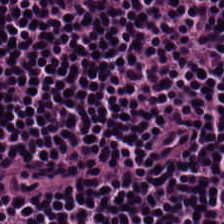Tissue type = lymphocyte aggregate.
